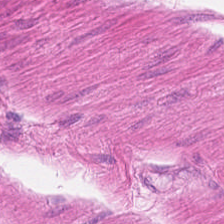Stain: H&E stain.
Tissue class: smooth-muscle tissue.
